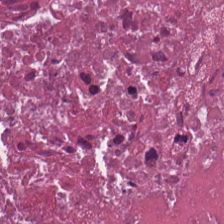Hematoxylin-and-eosin stained section.
The tissue here is necrotic debris.
